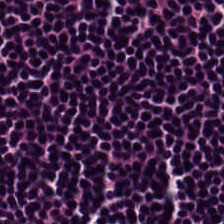Stain: H&E-stained tissue section.
Tissue class: lymphocytes.
